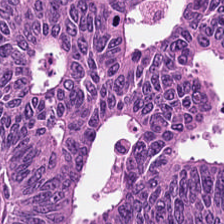Histology → malignant epithelium.
